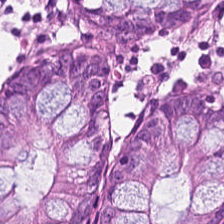Impression — normal colon mucosa.
